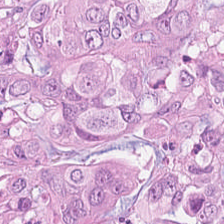Colorectal adenocarcinoma epithelium.
